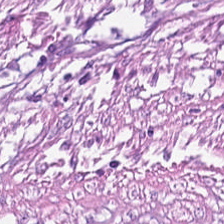Stain: hematoxylin-and-eosin stained section.
Preparation: FFPE tissue section.
Tile size: 224×224 px tile.
Predominant tissue: cancer-associated stroma.
